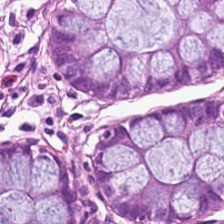Brightfield microscopy; 20× equivalent magnification; H&E-stained tissue section.
Tissue class: normal colonic mucosa.
